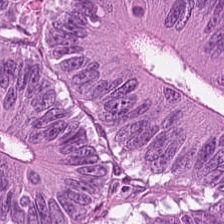H&E — colorectal adenocarcinoma.
